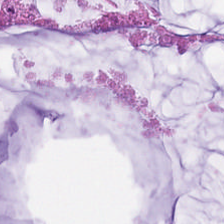Stain: H&E.
Classification: extracellular mucin.
